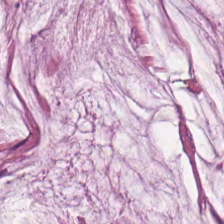Hematoxylin and eosin — Predominantly mucin.
